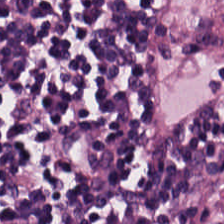WSI patch; hematoxylin-and-eosin stained section; 224×224 px patch.
Showing lymphoid infiltrate.
